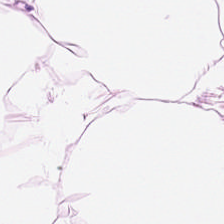224×224 pixel tile · hematoxylin-and-eosin stained section.
Histology → adipocytes.
